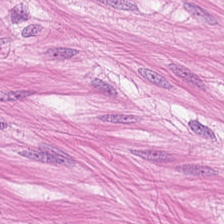Hematoxylin and eosin; 0.5 microns per pixel — The tissue here is muscularis.
